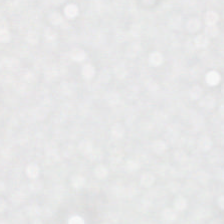H&E.
Background — no tissue in this field.
